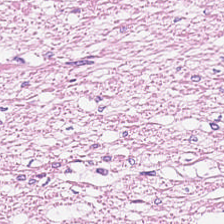H&E-stained tissue section.
Finding — smooth-muscle tissue.
